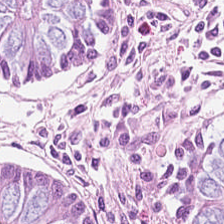H&E stain.
The classification is normal colon mucosa.
